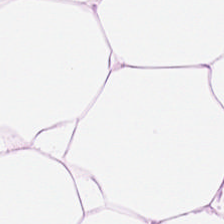Brightfield microscopy. 224×224 px tile. Hematoxylin and eosin. Classification: fat tissue.
